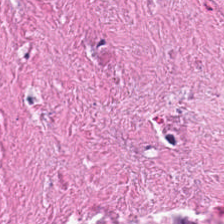Hematoxylin and eosin · whole-slide-image patch. Predominantly debris.
